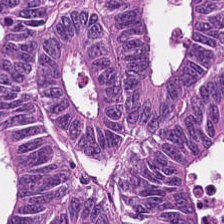Q: What is the predominant tissue type?
A: This is colorectal adenocarcinoma.
